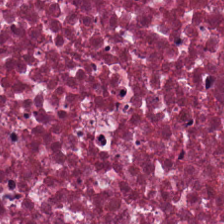Formalin-fixed paraffin-embedded section. Hematoxylin and eosin. 224×224 px patch. The predominant tissue is necrotic debris.
